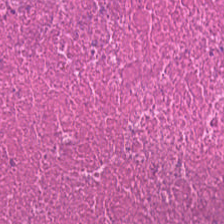This field is cellular debris.
